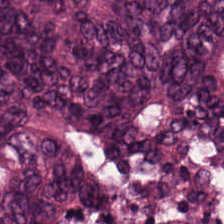H&E-stained tissue section.
Finding — malignant epithelium.
